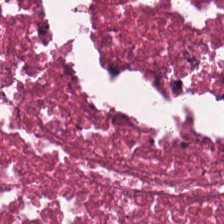Hematoxylin-and-eosin stained section — {"tissue_type": "necrotic debris"}
